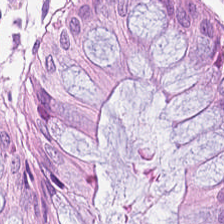Hematoxylin and eosin. The predominant tissue is non-neoplastic colon mucosa.
